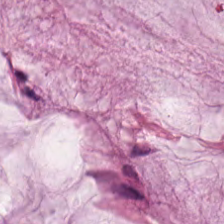H&E · FFPE tissue section — Q: What is shown in this field?
A: The field shows mucus.
